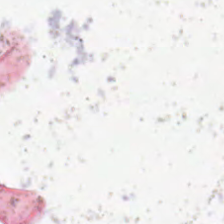H&E stain · 0.5 microns per pixel.
This patch shows empty background.
